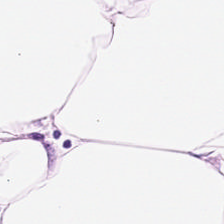Hematoxylin and eosin; WSI patch; 224×224 pixel tile.
Predominant tissue — adipose.
